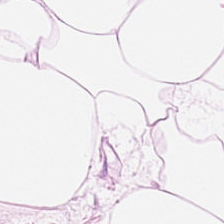H&E-stained tissue section. Whole-slide-image patch. 20× equivalent magnification — Predominantly adipose tissue.
